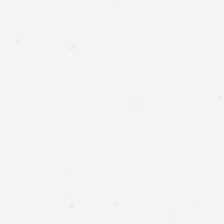H&E — Empty field — no tissue.
